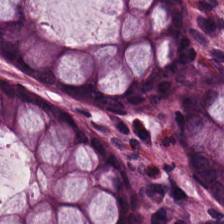224×224 px patch. Hematoxylin and eosin.
The predominant tissue is normal colonic mucosa.
